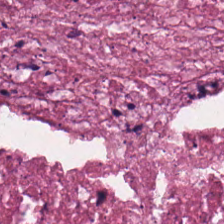H&E. Tissue class — cellular debris.
